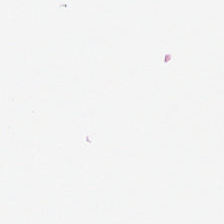Stain: hematoxylin and eosin.
Content: no tissue.
